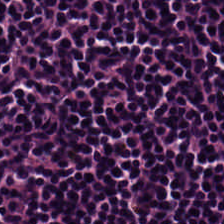Stain: H&E stain.
Tissue: lymphoid infiltrate.
